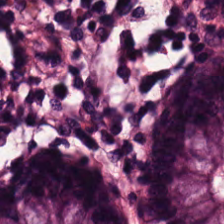Stain: hematoxylin and eosin.
Tissue type: normal colon mucosa.
